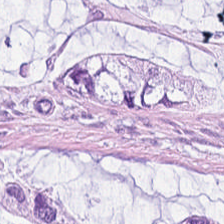0.5 µm/px. H&E.
The tissue class is mucin.
